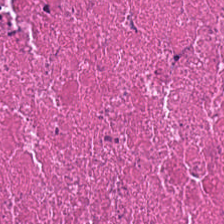Q: Identify the tissue.
A: The field shows cellular debris.
